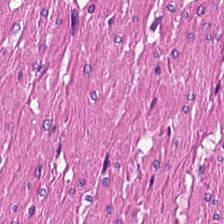Brightfield microscopy; hematoxylin-and-eosin stained section; 0.5 microns per pixel.
Finding → muscularis.
